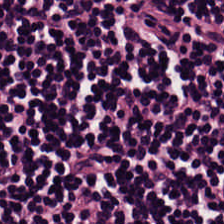FFPE tissue section; H&E-stained tissue section — The tissue class is lymphocyte aggregate.
